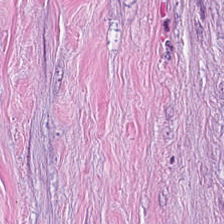Q: What does this patch show?
A: This is desmoplastic stroma.
